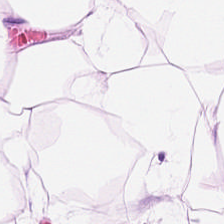Hematoxylin and eosin — Impression → fat tissue.
